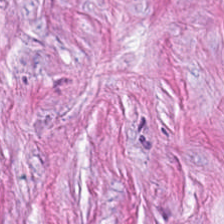Hematoxylin and eosin. {"tissue_type": "cancer-associated stroma"}
